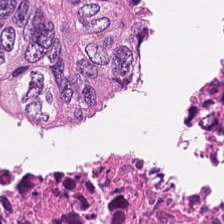H&E-stained tissue section.
The predominant tissue is cellular debris.
